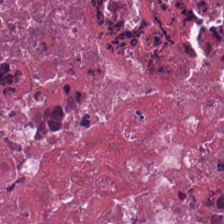H&E-stained tissue section — The tissue is necrotic debris.
